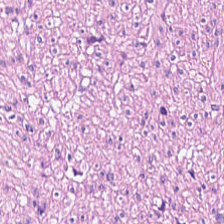H&E stain · 0.5 µm per pixel · brightfield — Tissue = smooth-muscle tissue.
